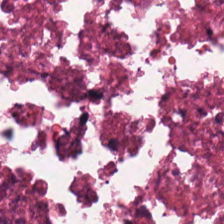Hematoxylin and eosin. The predominant tissue is debris.
